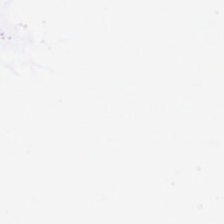Background — no tissue in this field.
